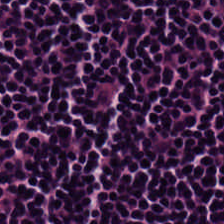H&E stain — Tissue type: lymphocyte aggregate.
